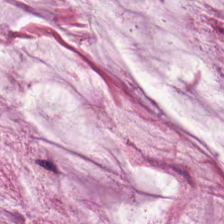Predominant tissue: extracellular mucin.
